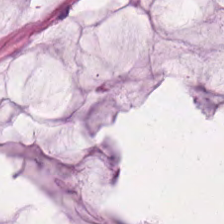H&E — mucus.
